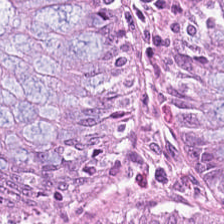H&E — Q: What is shown in this field?
A: This is normal colonic mucosa.
